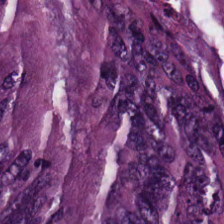H&E-stained tissue section · FFPE tissue section. The tissue here is colorectal adenocarcinoma.
